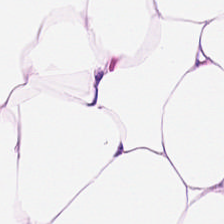Hematoxylin and eosin.
Classification: adipose tissue.
